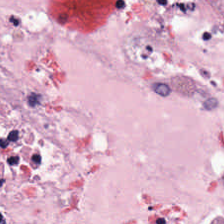FFPE tissue section. H&E-stained tissue section. Predominantly tumor stroma.
